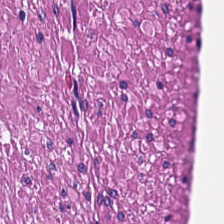H&E-stained tissue section. Brightfield. Q: What is shown here?
A: It is smooth-muscle tissue.
